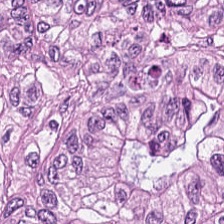Stain: H&E-stained tissue section.
Tile size: 224×224 px patch.
Preparation: formalin-fixed paraffin-embedded section.
Tissue class: adenocarcinoma.
